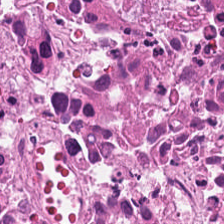Finding → debris.
